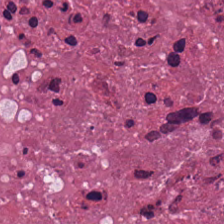Hematoxylin-and-eosin stained section — Predominant tissue — cellular debris.
